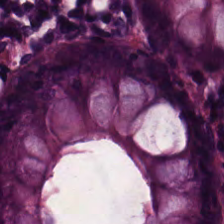Hematoxylin-and-eosin stained section. Q: What tissue is shown?
A: This is benign colonic mucosa.
